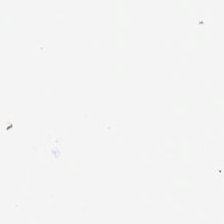Classification: no tissue.
